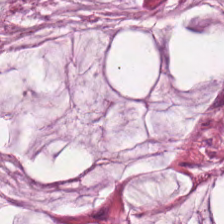0.5 µm per pixel; H&E-stained tissue section; WSI patch. Q: What tissue type is shown here?
A: This is extracellular mucin.
